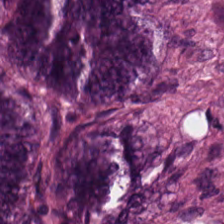H&E-stained tissue section. Tissue type — malignant epithelium.
